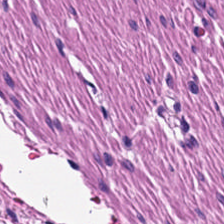H&E stain. Q: What type of tissue is this?
A: This is smooth-muscle tissue.
